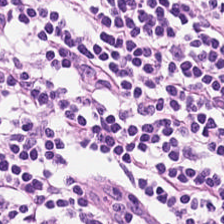Hematoxylin and eosin — Lymphocyte aggregate.
